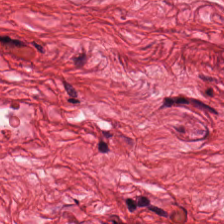Predominantly smooth-muscle tissue.
